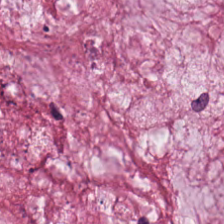H&E stain. 20× equivalent magnification — Finding — extracellular mucin.
